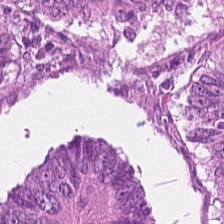224×224 px tile; FFPE; H&E.
The tissue type is colorectal adenocarcinoma epithelium.
